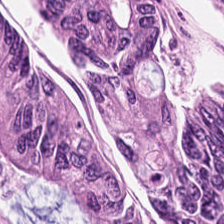Hematoxylin-and-eosin stained section. This field is malignant epithelium.
